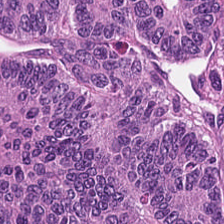224×224 pixel tile. Whole-slide-image patch. H&E-stained tissue section — Finding → malignant epithelium.
